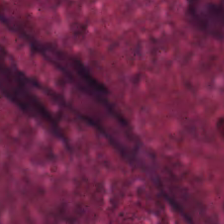H&E.
The tissue is cellular debris.
